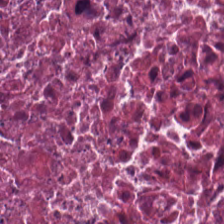H&E — cellular debris.
